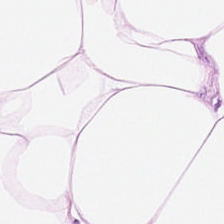Showing fat tissue.
